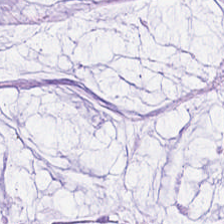H&E-stained tissue section.
Finding → mucin.
